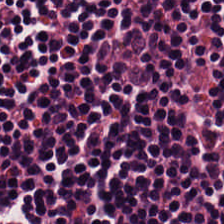Q: Identify the tissue.
A: The field shows lymphoid infiltrate.
